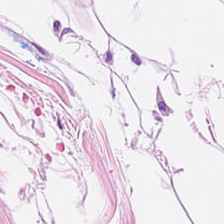20× equivalent magnification. FFPE tissue section. H&E.
The tissue class is adipose.
